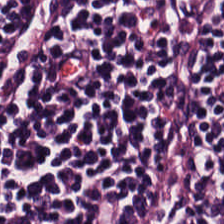Hematoxylin and eosin · 20× equivalent magnification.
Q: What is shown here?
A: This is lymphocytic infiltrate.
